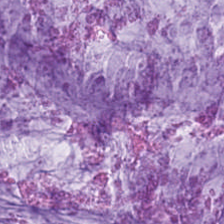Hematoxylin and eosin. Q: Identify the tissue.
A: The field shows mucin.
